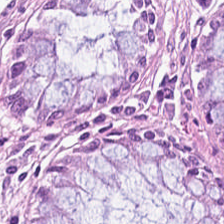H&E-stained tissue section. 224×224 pixel tile. Brightfield microscopy — {"tissue_type": "normal colon mucosa"}
